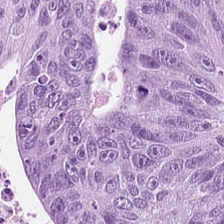Hematoxylin-and-eosin stained section.
Tumor epithelium.
